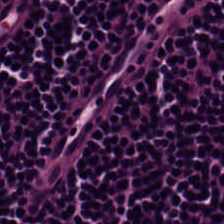Hematoxylin and eosin — Lymphocyte aggregate.
